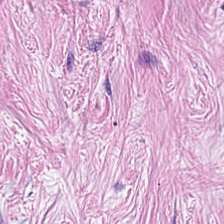H&E — Q: What does this patch show?
A: It is cancer-associated stroma.
